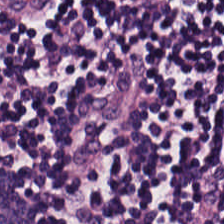224×224 px patch · hematoxylin-and-eosin stained section · FFPE — Showing lymphocytes.
